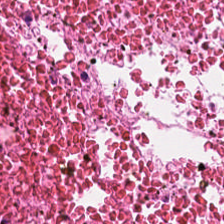Classification = necrotic debris.
